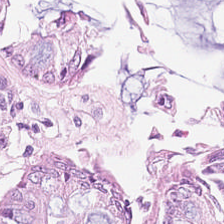Hematoxylin and eosin · FFPE tissue section. Finding → benign colonic mucosa.
